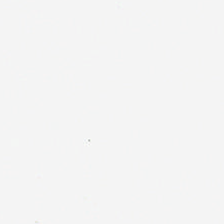This patch shows no tissue.
